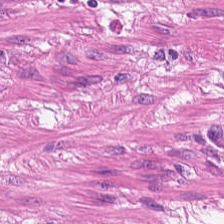Stain: hematoxylin-and-eosin stained section.
Classification: smooth-muscle tissue.
